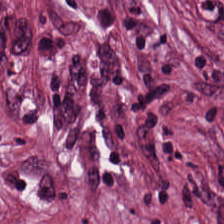Q: What is shown in this field?
A: This is desmoplastic stroma.
